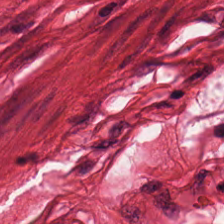H&E; FFPE tissue section; 0.5 microns per pixel.
{"tissue_type": "smooth muscle"}
